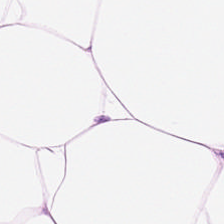FFPE tissue section. 224×224 pixel tile. Hematoxylin-and-eosin stained section — Tissue — adipose.
